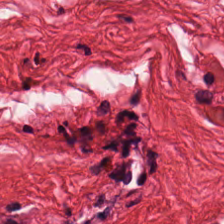Stain: H&E-stained tissue section.
Tile size: 224×224 pixel tile.
Predominant tissue: muscularis.
